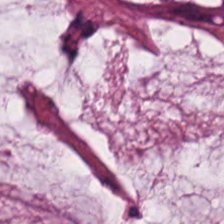20× equivalent magnification; formalin-fixed paraffin-embedded section; H&E. Classification — mucus.
